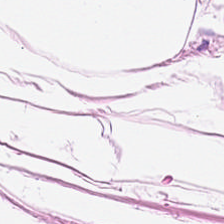H&E stain; 224×224 pixel tile. Classification: fat tissue.
